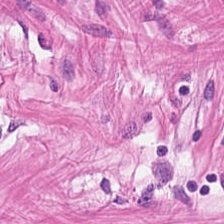Stain: H&E-stained tissue section.
Tissue: smooth-muscle tissue.
